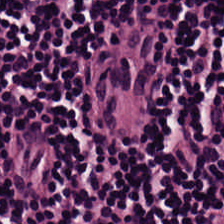Stain: H&E-stained tissue section.
Tissue: lymphocyte aggregate.
